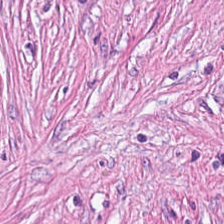H&E stain. Q: What is shown in this field?
A: It is desmoplastic stroma.
